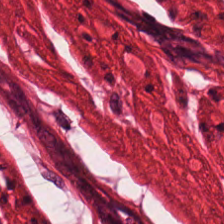224×224 px patch; brightfield; H&E stain. Smooth-muscle tissue.
